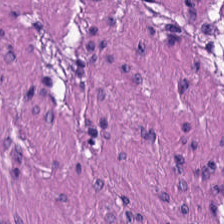H&E.
Showing smooth-muscle tissue.
